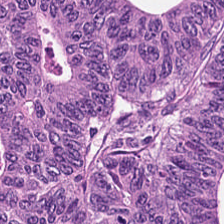H&E-stained tissue section. Predominantly tumor epithelium.
